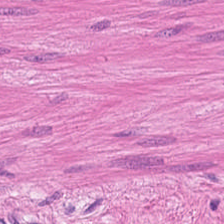Stain: hematoxylin-and-eosin stained section.
Tissue class: muscularis.
